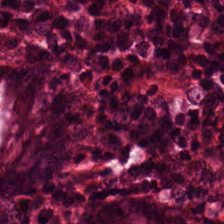H&E-stained tissue section. Brightfield. 224×224 px tile — Predominant tissue = normal colon mucosa.
